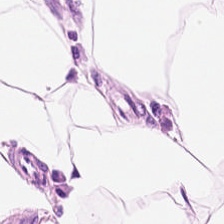Q: What tissue type is shown here?
A: Adipose.
